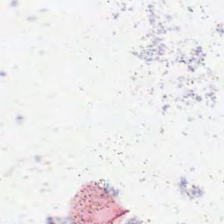Hematoxylin-and-eosin stained section.
Q: What is shown here?
A: The field shows empty background.
